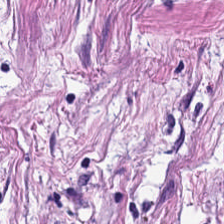H&E; FFPE.
The tissue class is cancer-associated stroma.
